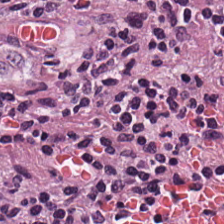H&E. Brightfield.
Classification = lymphocyte aggregate.
